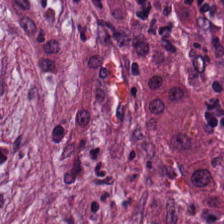Stain: H&E.
Resolution: 0.5 µm/px.
Tissue class: desmoplastic stroma.
